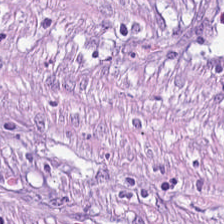Stain: hematoxylin-and-eosin stained section.
Tissue class: tumor-associated stroma.
